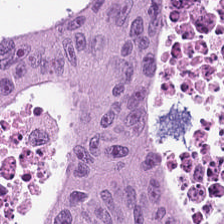Stain: hematoxylin and eosin.
Acquisition: brightfield.
Tissue type: colorectal adenocarcinoma epithelium.
